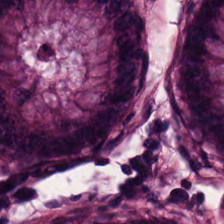H&E-stained tissue section. {"tissue_type": "normal colon mucosa"}
